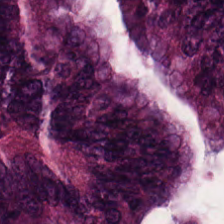Brightfield. Hematoxylin and eosin. Formalin-fixed paraffin-embedded section. Q: Identify the tissue.
A: Tumor epithelium.
